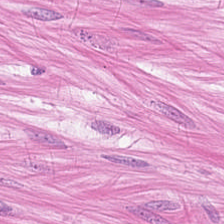H&E-stained tissue section · 0.5 µm/px — Q: What tissue type is shown here?
A: Smooth muscle.
